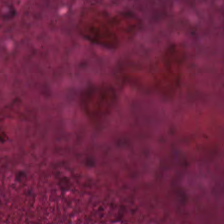Hematoxylin and eosin.
Q: What type of tissue is this?
A: Debris.
